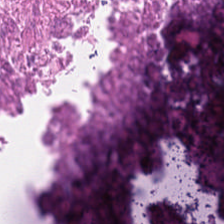H&E · formalin-fixed paraffin-embedded section · brightfield microscopy.
The predominant tissue is debris.
